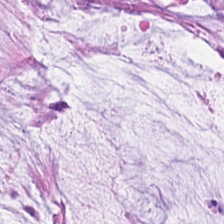H&E stain.
Classification — mucin.
